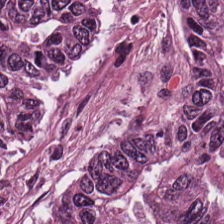H&E stain — {"tissue_type": "colorectal adenocarcinoma"}
